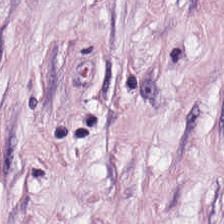Tissue class — tumor-associated stroma.
